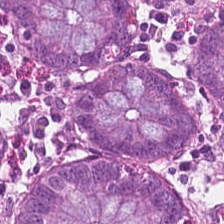Brightfield · hematoxylin and eosin — This patch shows normal colon mucosa.
